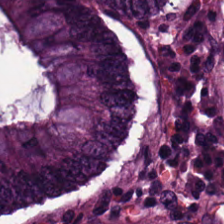224×224 px tile · H&E-stained tissue section — The predominant tissue is colorectal adenocarcinoma epithelium.
